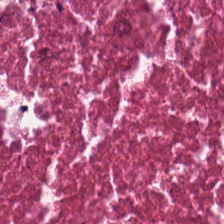Hematoxylin-and-eosin section: cellular debris.
